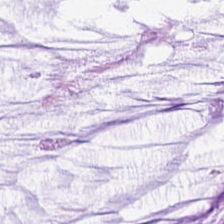The classification is extracellular mucin.
